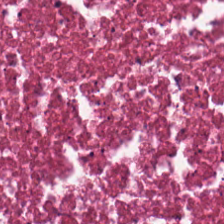Hematoxylin-and-eosin stained section. Whole-slide-image patch.
Showing necrotic debris.
